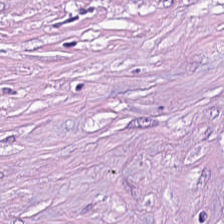Hematoxylin and eosin.
Predominantly tumor stroma.
